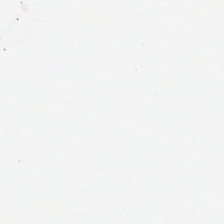Empty field — no tissue.
